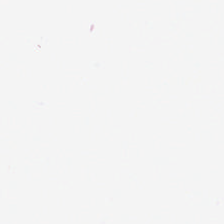H&E-stained tissue section · brightfield. Empty background.
